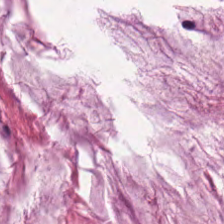Whole-slide-image patch · H&E stain — The predominant tissue is extracellular mucin.
